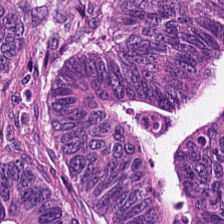Predominantly colorectal adenocarcinoma.
